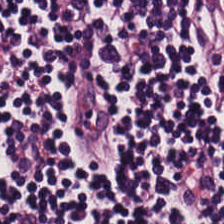H&E stain; 0.5 µm/px; WSI patch.
Q: What does this patch show?
A: The field shows lymphoid infiltrate.
